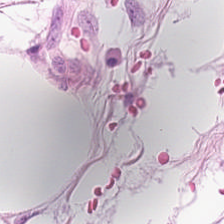H&E — Tissue type = fat tissue.
